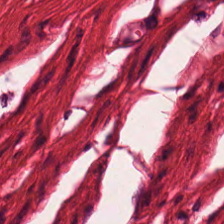224×224 px patch · brightfield microscopy · H&E — Classification — smooth-muscle tissue.
